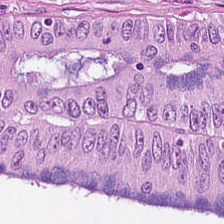Stain: hematoxylin and eosin.
Preparation: FFPE tissue section.
Resolution: 20× equivalent magnification.
Tissue class: colorectal adenocarcinoma.
